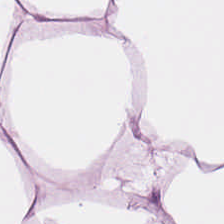Q: Classify this patch.
A: It is adipose tissue.
